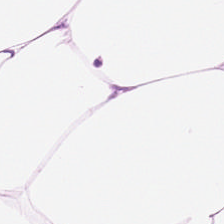FFPE; H&E.
The tissue here is adipocytes.
